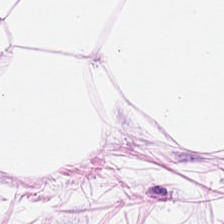H&E stain; 20× equivalent magnification.
This patch shows adipose.
